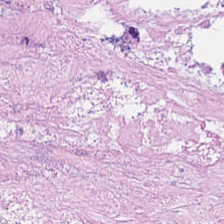Hematoxylin-and-eosin stained section.
Finding — necrotic debris.
